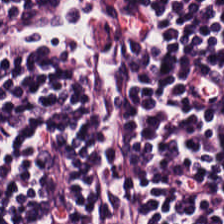Hematoxylin and eosin — Tissue class = lymphocytes.
